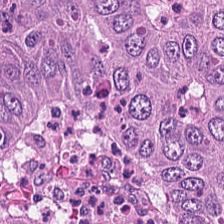Tissue type: adenocarcinoma.
